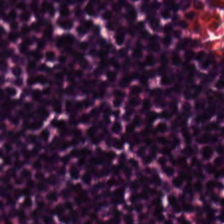Classification: lymphocytic infiltrate.
